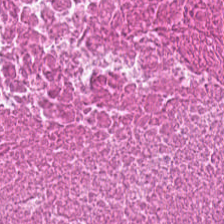WSI patch; hematoxylin and eosin.
The predominant tissue is cellular debris.
